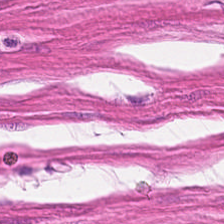H&E stain · 224×224 px tile.
Histology → muscularis.
